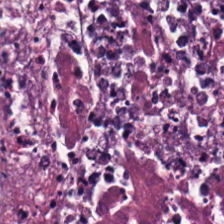Hematoxylin-and-eosin stained section; formalin-fixed paraffin-embedded section — Showing debris.
